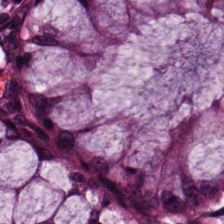H&E — Classification: normal colon mucosa.
